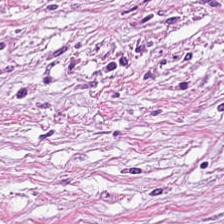Hematoxylin-and-eosin stained section — The classification is desmoplastic stroma.
